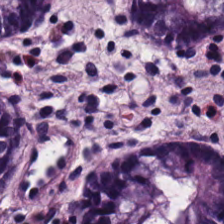H&E stain.
The predominant tissue is normal colonic mucosa.
